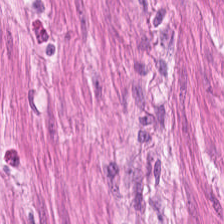Q: Classify this patch.
A: This is smooth-muscle tissue.
